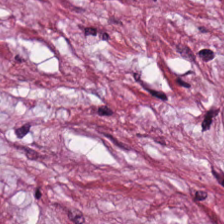H&E stain. 20× equivalent magnification. Q: Classify this patch.
A: Cancer-associated stroma.
